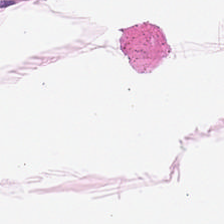Stain: hematoxylin and eosin.
Preparation: FFPE tissue section.
Tissue type: adipose.
